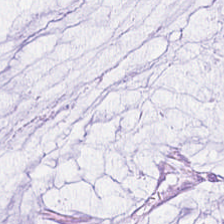H&E stain — Tissue: extracellular mucin.
